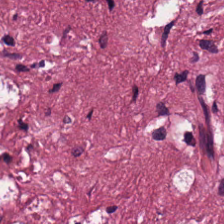224×224 pixel tile · H&E-stained tissue section.
Q: Identify the tissue.
A: Desmoplastic stroma.
